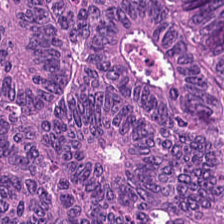Stain: H&E stain.
Preparation: FFPE.
Acquisition: brightfield.
Predominant tissue: colorectal adenocarcinoma epithelium.
